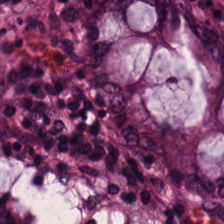Formalin-fixed paraffin-embedded section. Hematoxylin and eosin. 224×224 px patch. The tissue here is benign colonic mucosa.
